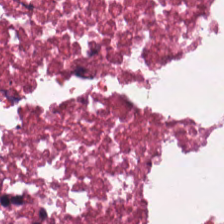H&E-stained tissue section — Histology → debris.
